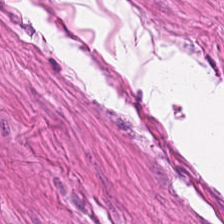H&E stain — The tissue type is muscularis.
